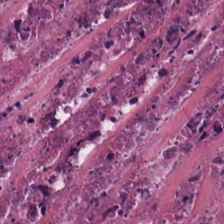Tissue — necrotic debris.
